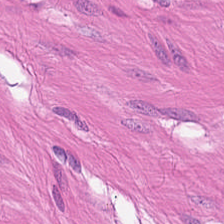0.5 microns per pixel; formalin-fixed paraffin-embedded section; H&E-stained tissue section — Smooth-muscle tissue.
